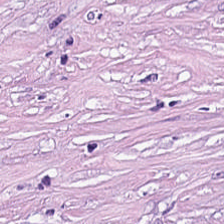0.5 µm/px; 224×224 pixel tile; H&E. Q: What does this patch show?
A: Tumor-associated stroma.
